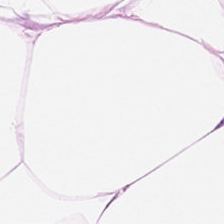Brightfield; hematoxylin-and-eosin stained section. The tissue class is adipose tissue.
